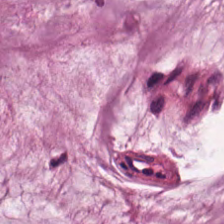Hematoxylin and eosin · 224×224 px tile — Classification — mucus.
